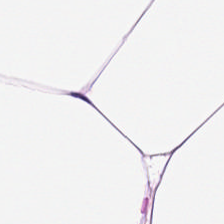H&E-stained tissue section — This patch shows adipose tissue.
